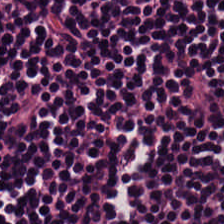Hematoxylin and eosin.
This patch shows lymphocytes.
